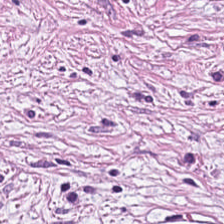WSI patch · FFPE tissue section · hematoxylin-and-eosin stained section.
Q: What tissue is shown?
A: Cancer-associated stroma.
